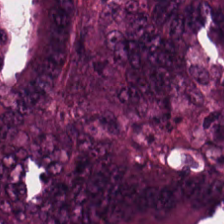H&E. Histology — colorectal adenocarcinoma.
